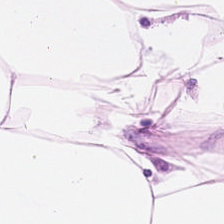H&E — Tissue: adipose tissue.
